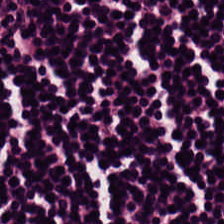H&E-stained section; the field shows lymphocytes.
